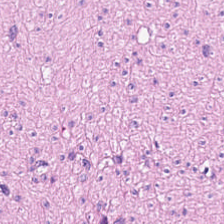H&E-stained section; the field shows smooth-muscle tissue.
